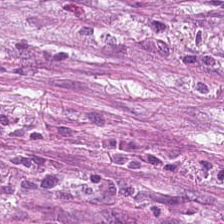The predominant tissue is tumor stroma.
